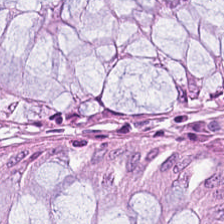Hematoxylin-and-eosin stained section. Impression → non-neoplastic colon mucosa.
